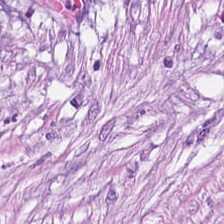Finding — tumor stroma.
